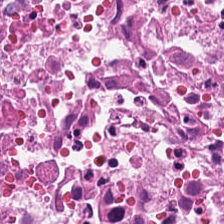Hematoxylin and eosin · 224×224 px tile — This field is debris.
